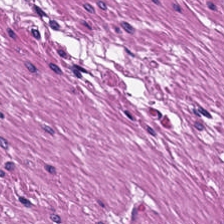Stain: hematoxylin and eosin.
Tissue: smooth-muscle tissue.
